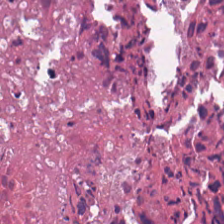Brightfield microscopy; H&E. This field is necrotic debris.
